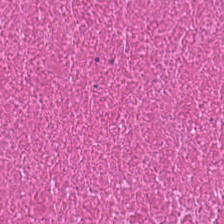H&E. Q: What tissue type is shown here?
A: Debris.
